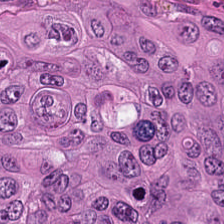0.5 µm per pixel. Hematoxylin-and-eosin stained section.
Finding → colorectal adenocarcinoma epithelium.
